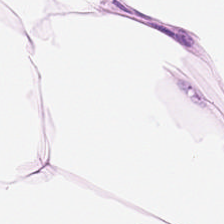Hematoxylin-and-eosin stained section. This patch shows adipose tissue.
